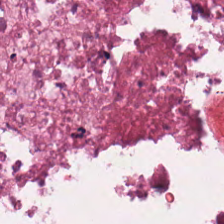H&E stain.
The classification is necrotic debris.
